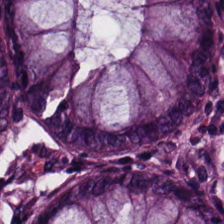H&E stain. Showing non-neoplastic colon mucosa.
